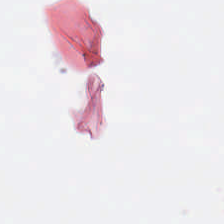Hematoxylin and eosin · 224×224 px patch · brightfield. Q: What is shown in this field?
A: This is empty background.
